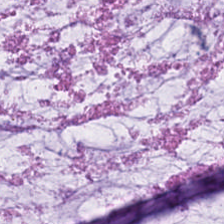{"tissue_type": "extracellular mucin"}
